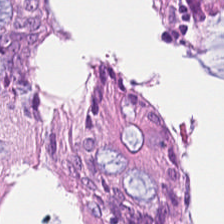The predominant tissue is benign colonic mucosa.
